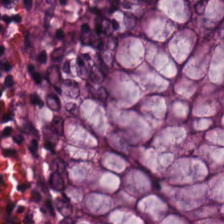FFPE; 224×224 px tile; hematoxylin-and-eosin stained section. Q: Identify the tissue.
A: Normal colonic mucosa.
